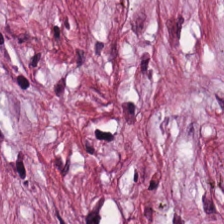Classification = desmoplastic stroma.
